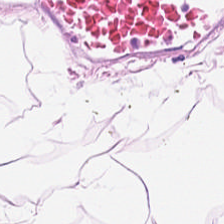Hematoxylin-and-eosin stained section. Tissue class — adipocytes.
